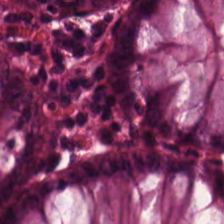H&E stain.
Q: Identify the tissue.
A: Benign colonic mucosa.
